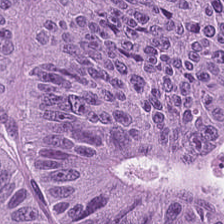H&E.
Showing colorectal adenocarcinoma epithelium.
